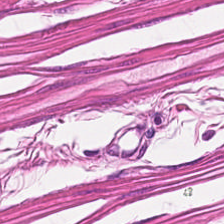H&E-stained tissue section. Tissue: smooth muscle.
